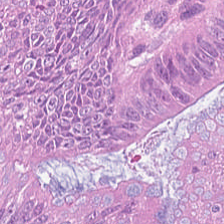This field is colorectal adenocarcinoma.
